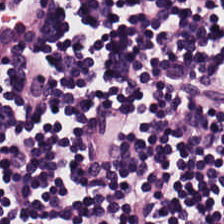Hematoxylin and eosin.
This field is lymphocytes.
